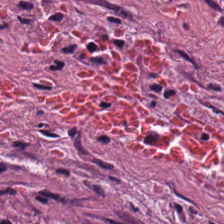H&E. 20× equivalent magnification. Finding → desmoplastic stroma.
